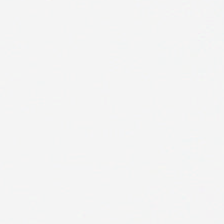H&E.
Field content — background (no tissue).
